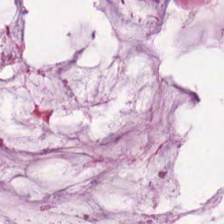Hematoxylin and eosin — This patch shows mucin.
